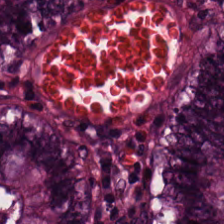Predominant tissue — benign colonic mucosa.
